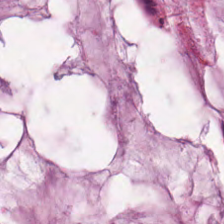Hematoxylin and eosin · 0.5 µm per pixel.
Predominant tissue: extracellular mucin.
